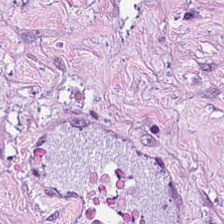Stain: hematoxylin and eosin.
Tissue class: cancer-associated stroma.
